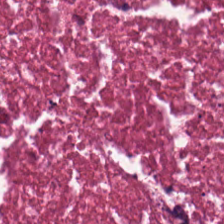Brightfield. FFPE. H&E stain. Q: What tissue type is shown here?
A: The field shows necrotic debris.
